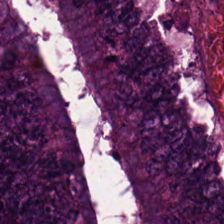H&E.
Predominantly colorectal adenocarcinoma epithelium.
